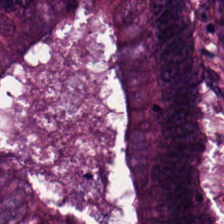H&E-stained tissue section — The predominant tissue is colorectal adenocarcinoma epithelium.
